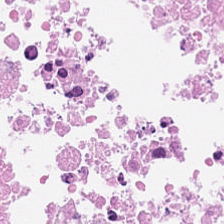Hematoxylin and eosin; FFPE tissue section; 224×224 px patch — This patch shows necrotic debris.
